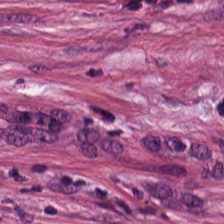H&E stain — {"tissue_type": "tumor stroma"}
